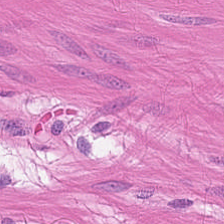Stain: hematoxylin-and-eosin stained section.
Classification: muscularis.
